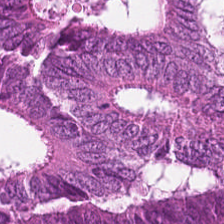Stain: hematoxylin and eosin.
Classification: tumor epithelium.
